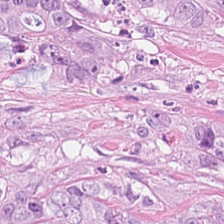Predominant tissue: colorectal adenocarcinoma.
